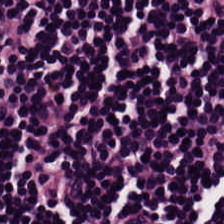Hematoxylin-and-eosin stained section; FFPE.
The predominant tissue is lymphocyte aggregate.
